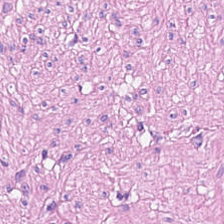Hematoxylin and eosin.
Classification — muscularis.
